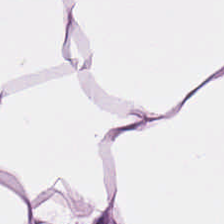{"tissue_type": "adipose tissue"}
